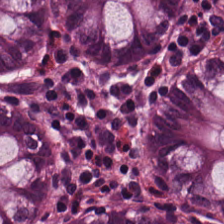Brightfield microscopy. H&E.
The tissue here is normal colon mucosa.
